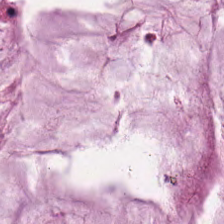Stain: H&E-stained tissue section.
Resolution: 0.5 µm/px.
Tissue: mucin.
